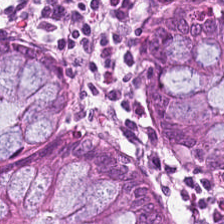Hematoxylin and eosin. 224×224 px patch. 0.5 microns per pixel.
Predominantly normal colonic mucosa.
